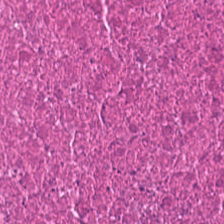Stain: hematoxylin and eosin.
Predominant tissue: necrotic debris.
